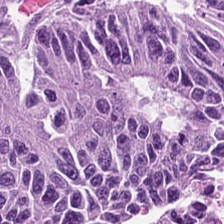H&E-stained tissue section. 224×224 px patch. Classification = colorectal adenocarcinoma.
